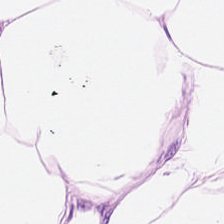Hematoxylin-and-eosin stained section; WSI patch. {"tissue_type": "adipose tissue"}
